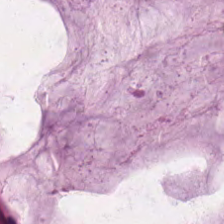Stain: H&E.
Tissue: mucin.
